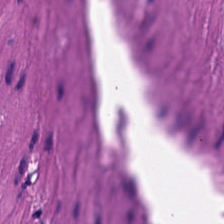H&E-stained tissue section; 224×224 pixel tile — Q: What is shown in this field?
A: It is smooth muscle.
